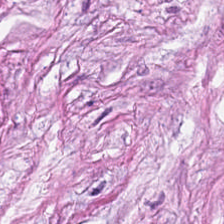Hematoxylin and eosin. Tissue class = cancer-associated stroma.
